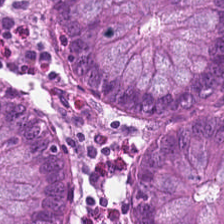Q: What is shown here?
A: The field shows normal colon mucosa.
